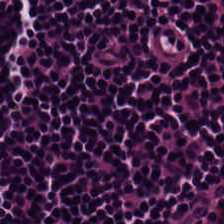Q: What type of tissue is this?
A: It is lymphocyte aggregate.
